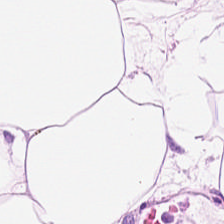Finding — fat tissue.
